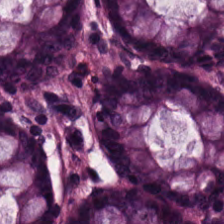224×224 px tile. Brightfield microscopy. Hematoxylin and eosin. Q: What is shown here?
A: This is non-neoplastic colon mucosa.
